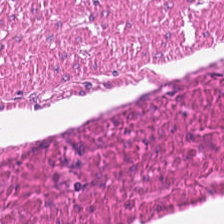Whole-slide-image patch. Hematoxylin-and-eosin stained section. Q: What is shown here?
A: The field shows smooth muscle.
